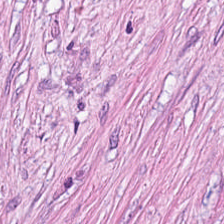Hematoxylin and eosin; 224×224 px tile; 0.5 microns per pixel — Q: What does this patch show?
A: The field shows tumor-associated stroma.
